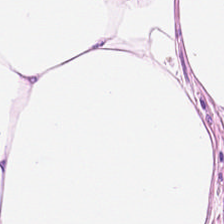Hematoxylin and eosin; 0.5 microns per pixel — Histology → fat tissue.
